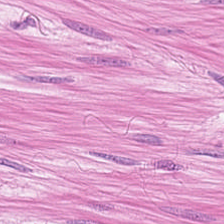Hematoxylin and eosin — This field is muscularis.
